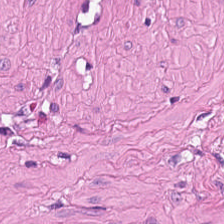H&E. This field is muscularis.
